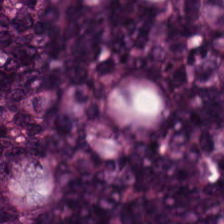Stain: H&E stain.
Tissue class: colorectal adenocarcinoma.
